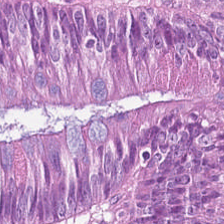Hematoxylin and eosin. This field is adenocarcinoma.
